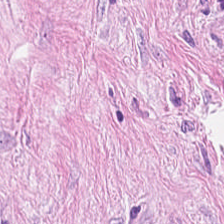Showing cancer-associated stroma.
